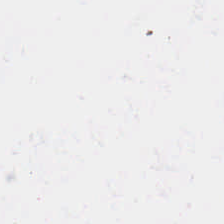Q: What does this patch show?
A: Background.
